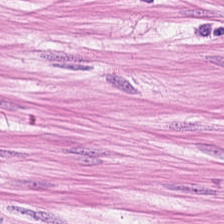WSI patch · hematoxylin-and-eosin stained section — Tissue class: smooth muscle.
